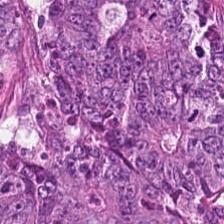Predominantly malignant epithelium.
